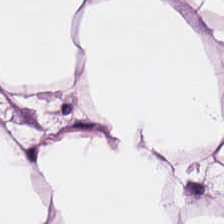FFPE. Hematoxylin-and-eosin stained section.
Tissue type: adipocytes.
